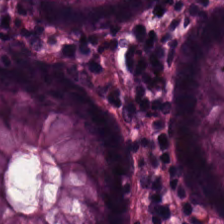FFPE tissue section · brightfield microscopy · H&E stain. Benign colonic mucosa.
